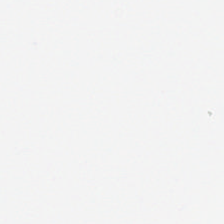Classification: background (no tissue).
